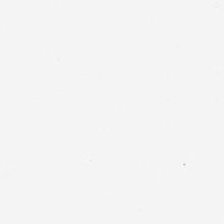Hematoxylin and eosin. Histology → background (no tissue).
